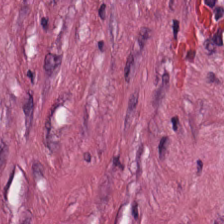H&E-stained tissue section. Tissue = tumor-associated stroma.
